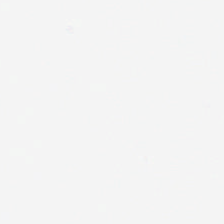H&E — Background (no tissue).
